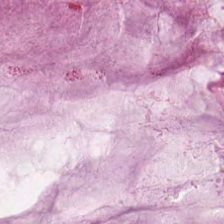Stain: H&E.
Preparation: FFPE tissue section.
Tissue class: extracellular mucin.
